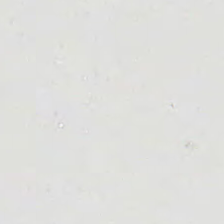Hematoxylin-and-eosin stained section — Q: What is shown in this field?
A: It is no tissue.
